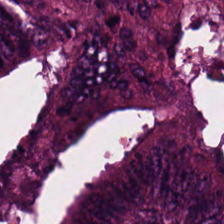H&E stain. Brightfield. Formalin-fixed paraffin-embedded section.
{"tissue_type": "colorectal adenocarcinoma"}
